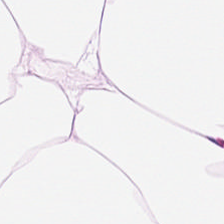FFPE tissue section · H&E-stained tissue section — Q: What is shown here?
A: Adipose tissue.
